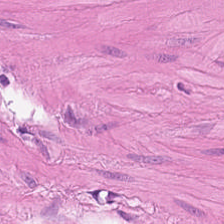Tissue type — muscularis.
